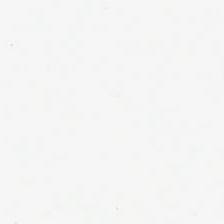H&E-stained tissue section.
Finding → background.
